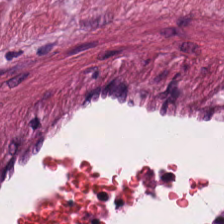H&E — This patch shows tumor-associated stroma.
